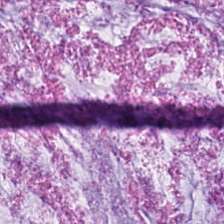Q: What type of tissue is this?
A: This is mucin.
